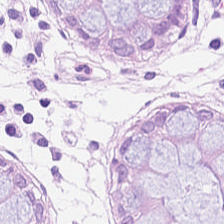Stain: hematoxylin and eosin.
Tissue class: normal colonic mucosa.
